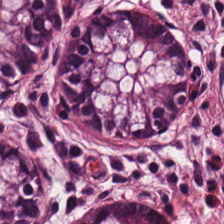Impression — benign colonic mucosa.
